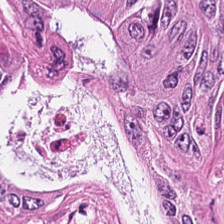Hematoxylin and eosin · FFPE tissue section · WSI patch — Q: What is shown in this field?
A: This is malignant epithelium.
